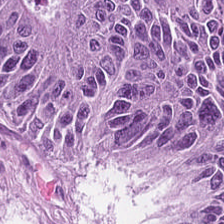Stain: hematoxylin-and-eosin stained section.
Predominant tissue: colorectal adenocarcinoma.
